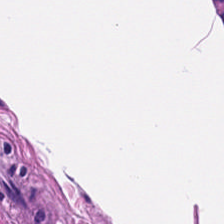224×224 px tile. H&E stain.
Q: Classify this patch.
A: This is smooth muscle.
